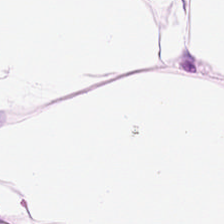Hematoxylin and eosin.
Tissue: adipose tissue.
